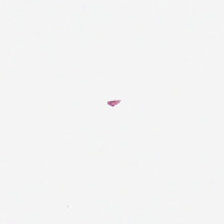This patch shows no tissue.
